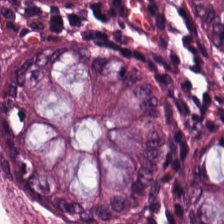0.5 µm per pixel · H&E.
Classification — benign colonic mucosa.
